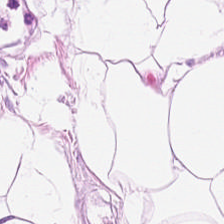Brightfield. H&E-stained tissue section — Finding → adipocytes.
